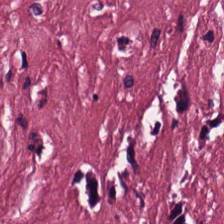H&E. FFPE.
Tissue class — desmoplastic stroma.
